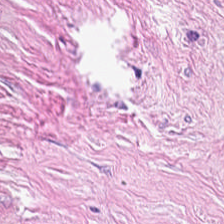The tissue class is cancer-associated stroma.
